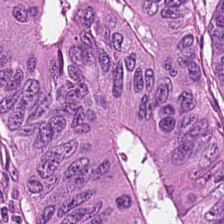Stain: hematoxylin and eosin.
Tissue class: colorectal adenocarcinoma epithelium.
